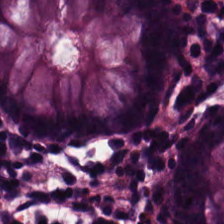This field is non-neoplastic colon mucosa.
